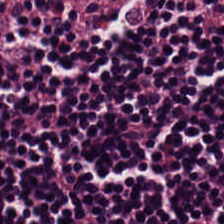0.5 µm/px; H&E stain. Tissue — lymphocytes.
